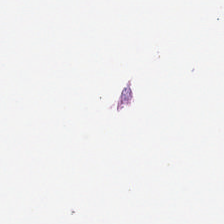H&E; brightfield; FFPE tissue section. Background.
